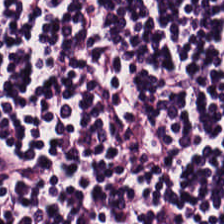Stain: H&E.
Resolution: 0.5 microns per pixel.
Acquisition: brightfield.
Predominant tissue: lymphocyte aggregate.
